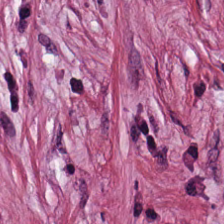H&E stain · 224×224 px tile · 0.5 µm/px — This patch shows tumor stroma.
